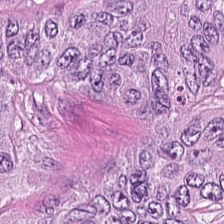H&E-stained tissue section.
Tissue type = tumor epithelium.
